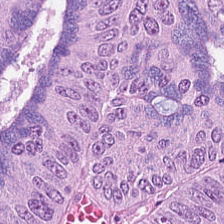H&E-stained tissue section showing colorectal adenocarcinoma epithelium.
